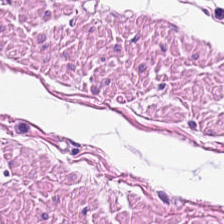Stain: H&E-stained tissue section.
Tile size: 224×224 px tile.
Tissue: smooth muscle.
